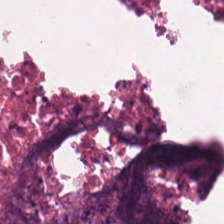H&E stain — This field is necrotic debris.
